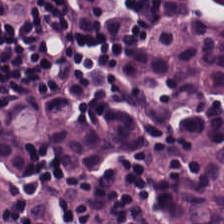224×224 px patch; H&E stain.
Q: What is the predominant tissue type?
A: Lymphocytes.
